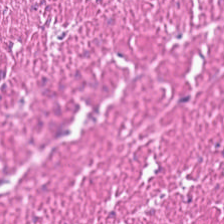0.5 microns per pixel · H&E · formalin-fixed paraffin-embedded section. Predominantly smooth-muscle tissue.
